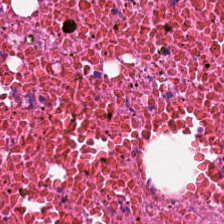224×224 pixel tile; H&E. The predominant tissue is debris.
